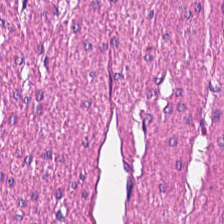H&E stain. Predominant tissue — muscularis.
